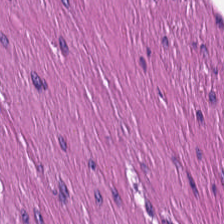Hematoxylin and eosin. 224×224 pixel tile — Q: What type of tissue is this?
A: The field shows smooth-muscle tissue.
